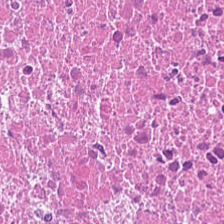H&E stain — Impression — necrotic debris.
